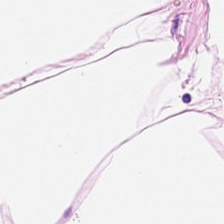Hematoxylin and eosin; 224×224 px tile; whole-slide-image patch. Showing adipose.
